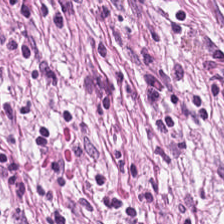H&E stain.
The predominant tissue is cancer-associated stroma.
